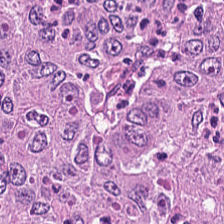WSI patch · H&E-stained tissue section. Tissue class — tumor epithelium.
